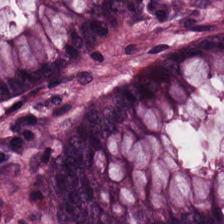Impression — non-neoplastic colon mucosa.
